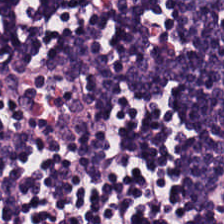WSI patch; H&E-stained tissue section — This field is lymphocytic infiltrate.
